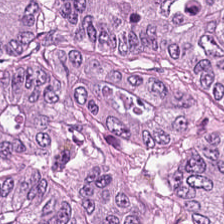0.5 µm per pixel; hematoxylin-and-eosin stained section. Q: What tissue type is shown here?
A: It is colorectal adenocarcinoma epithelium.
